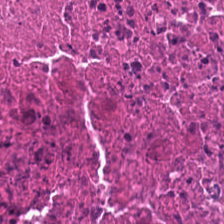H&E. 224×224 pixel tile — Q: What is shown here?
A: The field shows debris.
